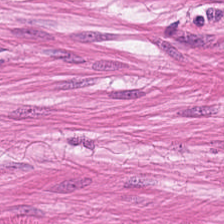224×224 pixel tile. Hematoxylin-and-eosin stained section.
Classification = muscularis.
